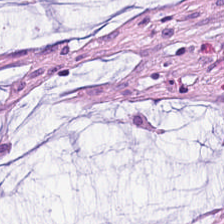H&E.
Showing extracellular mucin.
